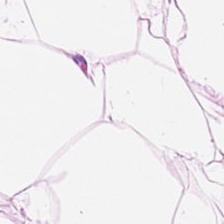H&E-stained tissue section; brightfield microscopy — Q: What tissue type is shown here?
A: Fat tissue.
